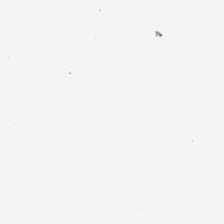This patch shows background.
